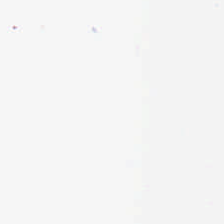H&E stain.
Empty field — background.
